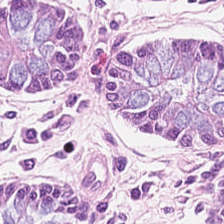Stain: hematoxylin-and-eosin stained section.
Classification: benign colonic mucosa.
